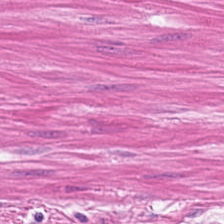H&E stain. 0.5 microns per pixel. Q: What tissue type is shown here?
A: This is muscularis.
